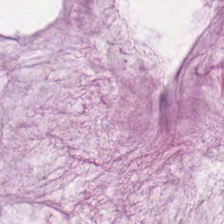Hematoxylin and eosin.
Predominantly mucus.
